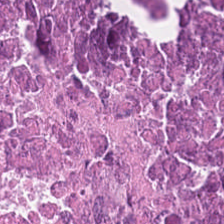The tissue class is necrotic debris.
